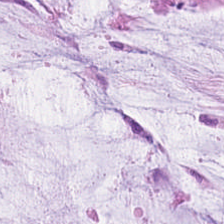Stain: hematoxylin and eosin.
Predominant tissue: mucus.
